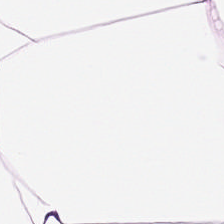Q: What is shown here?
A: Adipose tissue.
